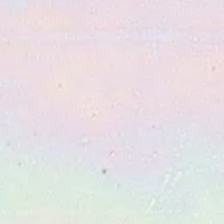Hematoxylin-and-eosin stained section · FFPE tissue section · 0.5 µm per pixel — {"content": "no tissue"}
